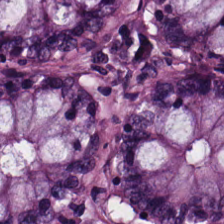224×224 px tile. 0.5 µm/px. H&E. The tissue here is benign colonic mucosa.
